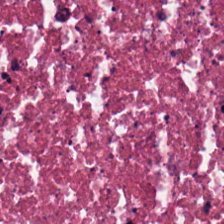Hematoxylin-and-eosin stained section — {"tissue_type": "debris"}
